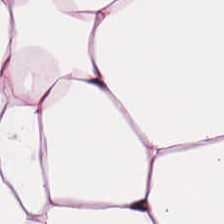FFPE tissue section · 224×224 pixel tile · H&E-stained tissue section — Q: What tissue type is shown here?
A: It is fat tissue.
